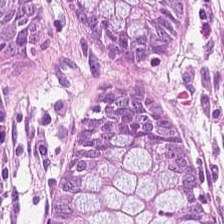H&E.
Predominant tissue: non-neoplastic colon mucosa.
